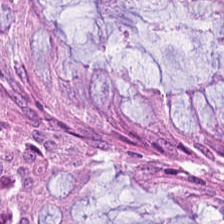H&E.
Q: What does this patch show?
A: Normal colonic mucosa.
